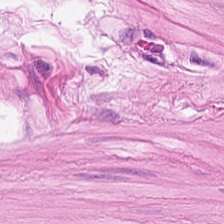Q: What does this patch show?
A: The field shows muscularis.
